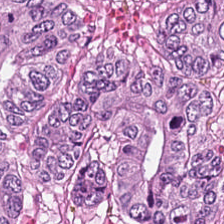Q: What does this patch show?
A: This is tumor epithelium.
